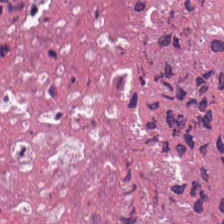224×224 px patch · hematoxylin-and-eosin stained section.
Predominant tissue: cellular debris.
